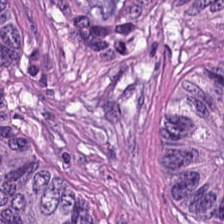H&E stain — The predominant tissue is colorectal adenocarcinoma.
